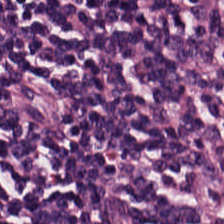224×224 px tile; WSI patch; hematoxylin-and-eosin stained section — The predominant tissue is lymphocytic infiltrate.
